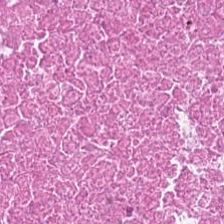H&E stain. Histology — necrotic debris.
